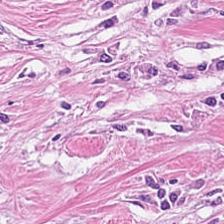Hematoxylin-and-eosin stained section.
Tissue type: tumor-associated stroma.
